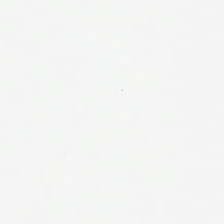Hematoxylin and eosin; formalin-fixed paraffin-embedded section; 224×224 px patch. Content — background.
